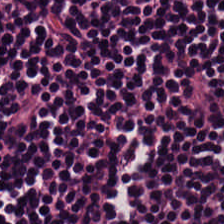Q: What type of tissue is this?
A: Lymphocytic infiltrate.
